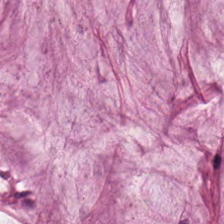H&E.
{"tissue_type": "extracellular mucin"}
